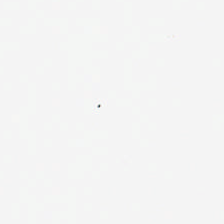H&E-stained tissue section; FFPE tissue section. Impression → background (no tissue).
